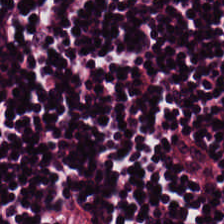Stain: hematoxylin-and-eosin stained section.
Acquisition: brightfield microscopy.
Preparation: FFPE tissue section.
Classification: lymphocyte aggregate.
